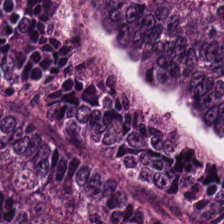Hematoxylin-and-eosin stained section. Q: What tissue type is shown here?
A: It is tumor epithelium.
